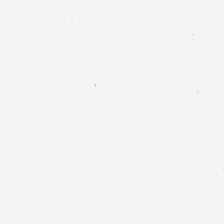Empty background.
